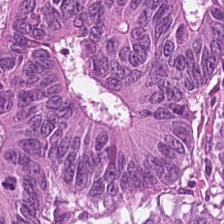Stain: hematoxylin-and-eosin stained section.
Tissue type: adenocarcinoma.
